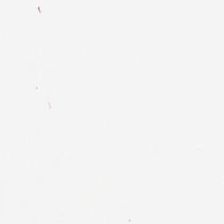Finding — background.
